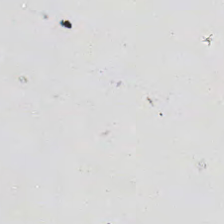Hematoxylin-and-eosin stained section.
Impression → background.
